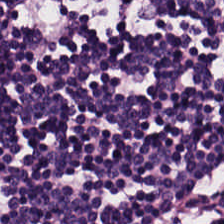Hematoxylin-and-eosin stained section; brightfield. This field is lymphocytic infiltrate.
